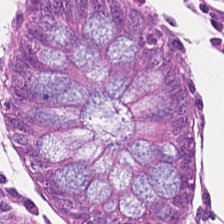H&E · 20× equivalent magnification.
Predominantly benign colonic mucosa.
